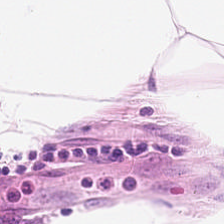Tissue = adipose.
